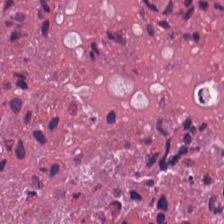Hematoxylin and eosin.
{"tissue_type": "cellular debris"}
